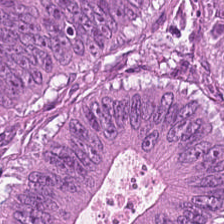Classification = tumor epithelium.
